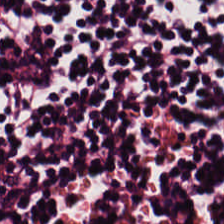H&E-stained tissue section · 224×224 pixel tile.
Q: What tissue type is shown here?
A: It is lymphoid infiltrate.
